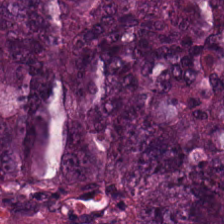Whole-slide-image patch; hematoxylin-and-eosin stained section; FFPE.
Impression — colorectal adenocarcinoma epithelium.
